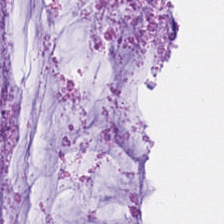Hematoxylin-and-eosin stained section — The predominant tissue is extracellular mucin.
